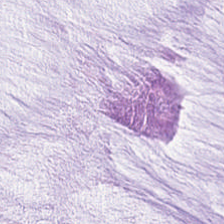H&E-stained section; the field shows mucin.
